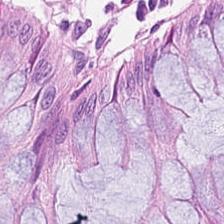224×224 px tile · H&E stain — Histology → normal colonic mucosa.
